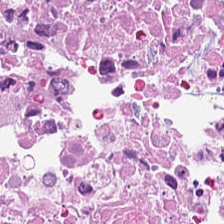Classification — cellular debris.
